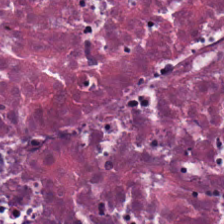H&E · 224×224 px patch.
Impression → cellular debris.
